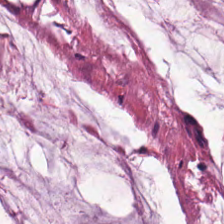H&E patch showing mucin.
